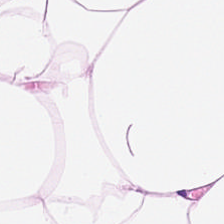Hematoxylin-and-eosin stained section.
Tissue: adipose.
